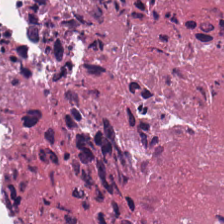Hematoxylin and eosin. Formalin-fixed paraffin-embedded section. Necrotic debris.
